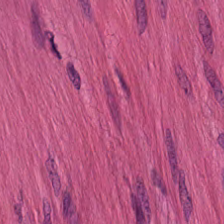Formalin-fixed paraffin-embedded section; H&E-stained tissue section; 224×224 px tile.
This patch shows smooth-muscle tissue.
